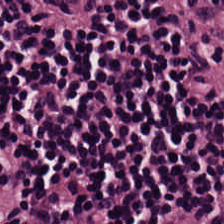H&E stain; WSI patch.
Q: What tissue type is shown here?
A: This is lymphocyte aggregate.
